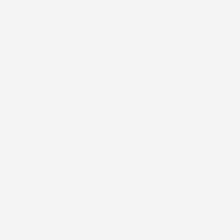Stain: H&E stain.
Field content: background.
